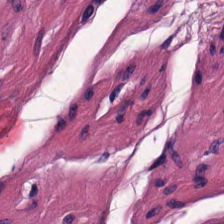Predominant tissue — smooth-muscle tissue.
